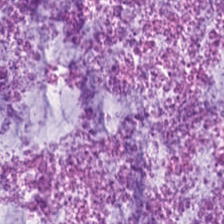The classification is mucin.
